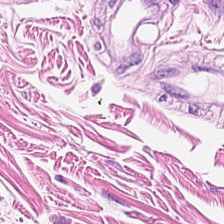WSI patch; H&E-stained tissue section — Q: Identify the tissue.
A: The field shows smooth-muscle tissue.
